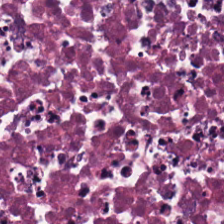Brightfield microscopy · H&E stain · 224×224 pixel tile.
Showing necrotic debris.
